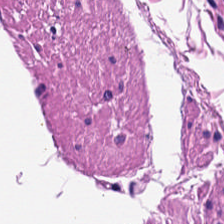Q: What is shown in this field?
A: This is smooth-muscle tissue.
